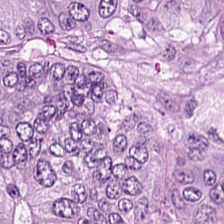Stain: H&E.
Resolution: 0.5 µm per pixel.
Tissue: colorectal adenocarcinoma.
